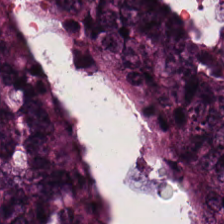0.5 microns per pixel; H&E-stained tissue section — Histology → adenocarcinoma.
